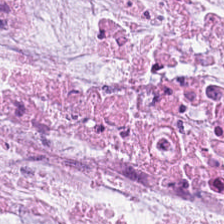Hematoxylin and eosin. Finding — mucin.
